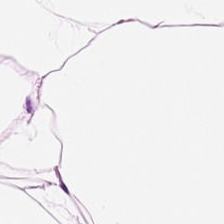Hematoxylin-and-eosin stained section · FFPE tissue section. The tissue type is adipose.
